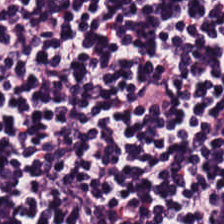H&E-stained tissue section. WSI patch. FFPE — Tissue: lymphocytes.
